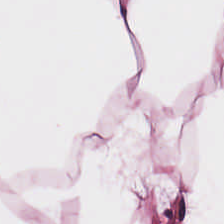H&E stain.
Tissue — adipose.
